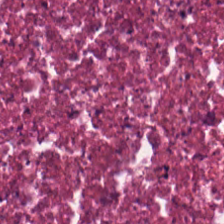H&E-stained tissue section. Impression — cellular debris.
